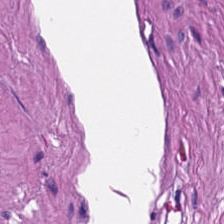Classification — smooth-muscle tissue.
